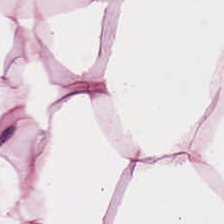H&E-stained tissue section — Histology → adipocytes.
